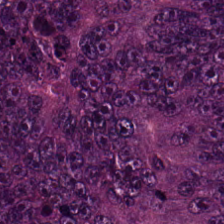Hematoxylin-and-eosin stained section. Showing adenocarcinoma.
